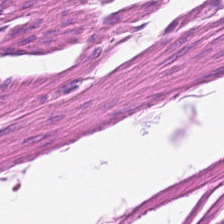H&E stain · 0.5 µm per pixel · 224×224 px patch — This patch shows smooth-muscle tissue.
